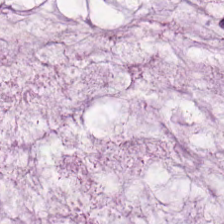0.5 µm per pixel · H&E.
This field is mucin.
